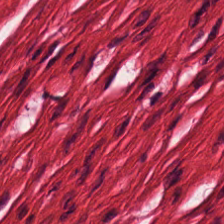{"tissue_type": "smooth muscle"}
